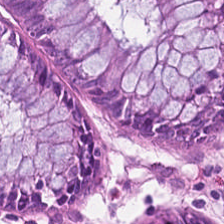WSI patch · 0.5 µm per pixel · H&E-stained tissue section. Q: What is shown here?
A: It is non-neoplastic colon mucosa.
